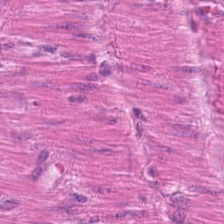Hematoxylin and eosin — Tissue class — muscularis.
